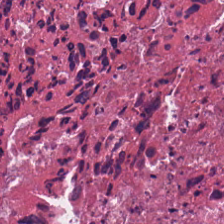The classification is debris.
